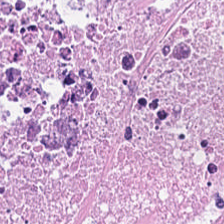Tissue = necrotic debris.
